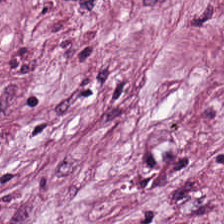H&E-stained tissue section.
The tissue here is cancer-associated stroma.
